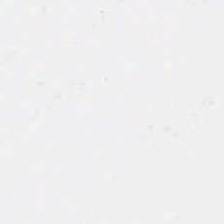Hematoxylin and eosin; whole-slide-image patch.
{"content": "background (no tissue)"}
